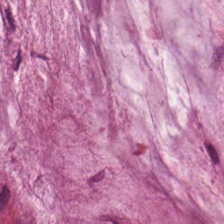0.5 µm/px · H&E-stained tissue section.
Mucus.
